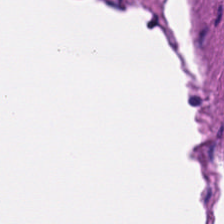H&E stain; brightfield microscopy. This patch shows muscularis.
